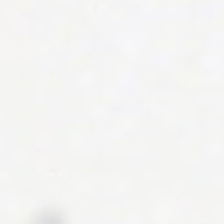Stain: H&E stain.
Content: empty background.
